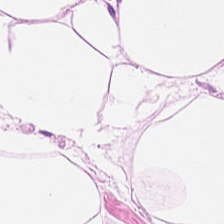This patch shows fat tissue.
